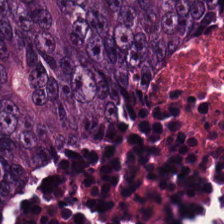Hematoxylin and eosin; WSI patch. The tissue here is malignant epithelium.
